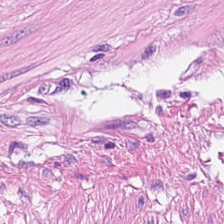H&E.
This patch shows smooth-muscle tissue.
